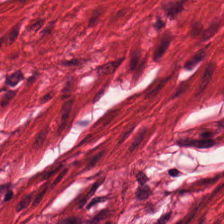0.5 µm per pixel · H&E-stained tissue section. Tissue — smooth muscle.
